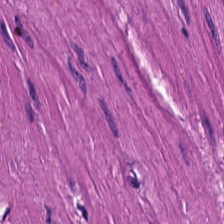H&E.
{"tissue_type": "smooth-muscle tissue"}
